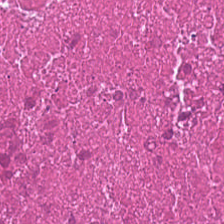Predominantly necrotic debris.
